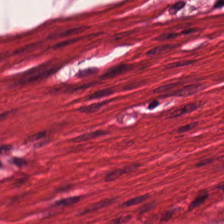Stain: hematoxylin and eosin.
Classification: muscularis.
